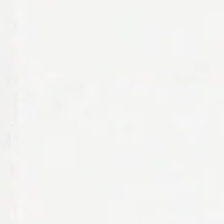H&E stain — Classification = background (no tissue).
